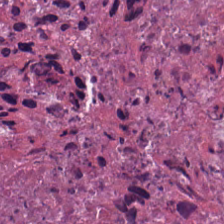H&E-stained tissue section.
Debris.
